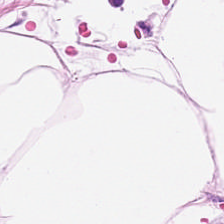Hematoxylin and eosin. This field is fat tissue.
